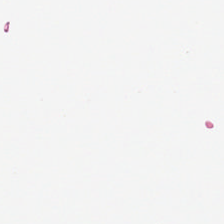H&E. Brightfield — The classification is background (no tissue).
